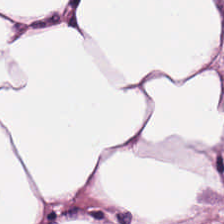Formalin-fixed paraffin-embedded section; H&E-stained tissue section.
Tissue = fat tissue.
